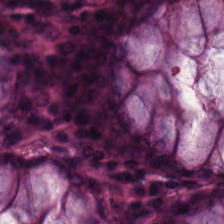H&E-stained tissue section.
{"tissue_type": "benign colonic mucosa"}
